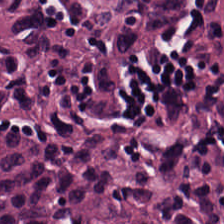H&E-stained tissue section — This field is lymphocytic infiltrate.
